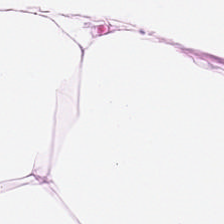Stain: H&E-stained tissue section.
Tile size: 224×224 px tile.
Tissue class: adipocytes.
